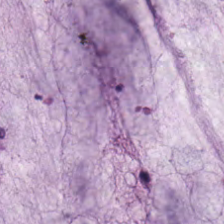Whole-slide-image patch; 224×224 pixel tile; hematoxylin-and-eosin stained section. Classification = mucin.
